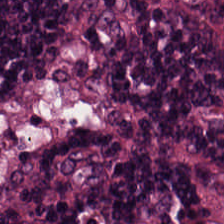224×224 px patch · H&E stain.
Impression — lymphoid infiltrate.
